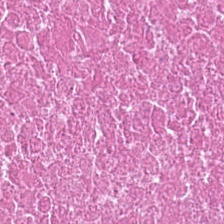Hematoxylin and eosin.
Impression → cellular debris.
